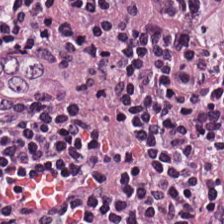Tissue class — lymphocytic infiltrate.
